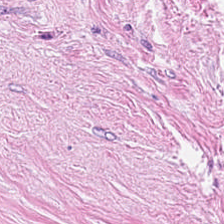Stain: hematoxylin-and-eosin stained section.
Tissue: tumor-associated stroma.
